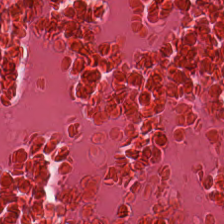H&E — Predominantly necrotic debris.
